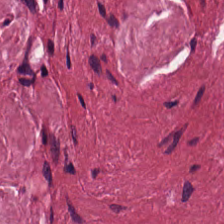20× equivalent magnification; whole-slide-image patch; hematoxylin and eosin. The tissue here is tumor stroma.
